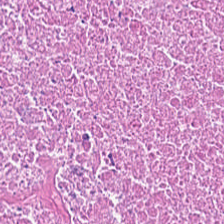H&E-stained tissue section. Finding — necrotic debris.
